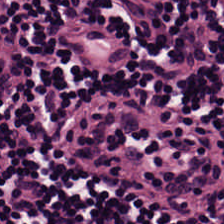Q: What does this patch show?
A: This is lymphoid infiltrate.
